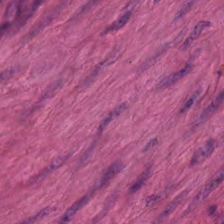H&E stain · FFPE.
Muscularis.
